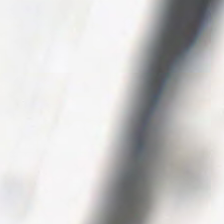Stain: H&E stain.
Content: background (no tissue).
